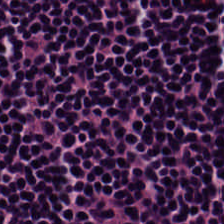Q: Identify the tissue.
A: The field shows lymphocytic infiltrate.
